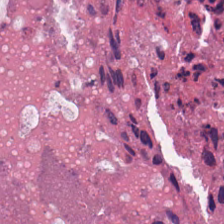H&E stain.
Tissue class = cellular debris.
